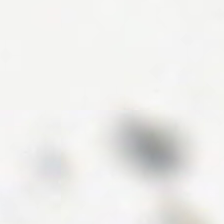H&E stain · 224×224 px tile — Q: What is shown here?
A: It is no tissue.
